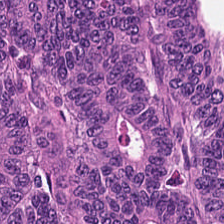Stain: H&E.
Tile size: 224×224 px patch.
Predominant tissue: colorectal adenocarcinoma epithelium.
